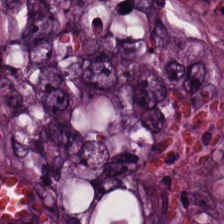Hematoxylin-and-eosin stained section — Q: Identify the tissue.
A: The field shows malignant epithelium.
